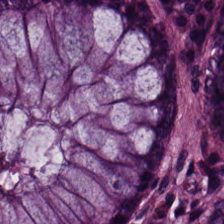H&E. FFPE.
Q: What tissue is shown?
A: The field shows normal colon mucosa.
